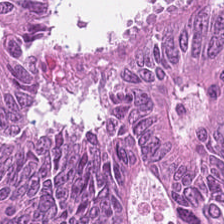0.5 microns per pixel · FFPE tissue section · hematoxylin-and-eosin stained section. Showing colorectal adenocarcinoma epithelium.
